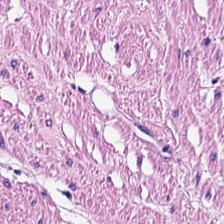Stain: H&E stain.
Preparation: FFPE.
Tissue type: muscularis.
